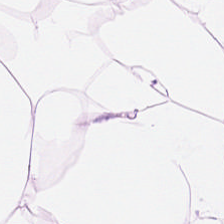Hematoxylin-and-eosin stained section; whole-slide-image patch. Q: What does this patch show?
A: This is adipose tissue.
